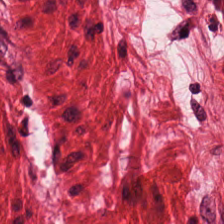H&E stain. Smooth muscle.
